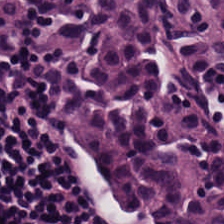Lymphocytes.
